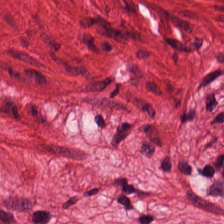Hematoxylin-and-eosin stained section · whole-slide-image patch · 0.5 µm/px.
Predominantly smooth-muscle tissue.
